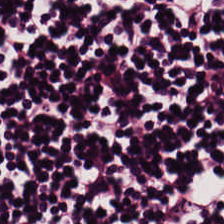H&E stain — Impression — lymphocytic infiltrate.
